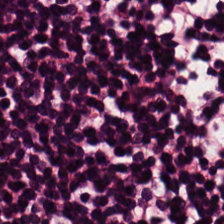FFPE. 0.5 microns per pixel. Hematoxylin-and-eosin stained section — Q: Identify the tissue.
A: This is lymphocyte aggregate.
